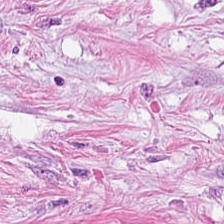0.5 µm per pixel; H&E-stained tissue section. Predominantly cancer-associated stroma.
